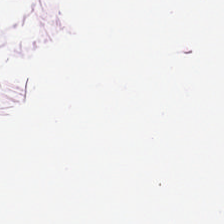0.5 µm per pixel. Hematoxylin and eosin — Q: What is shown in this field?
A: The field shows adipocytes.
